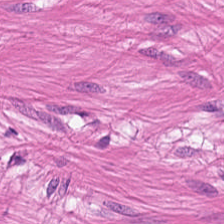Hematoxylin and eosin.
{"tissue_type": "muscularis"}
